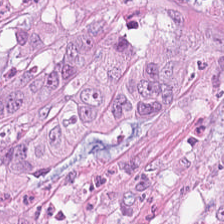H&E-stained section; the field shows colorectal adenocarcinoma.
